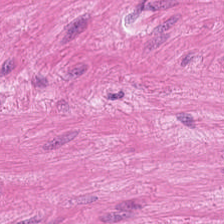Hematoxylin-and-eosin section: smooth muscle.
